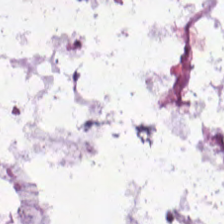Hematoxylin and eosin. WSI patch — The tissue type is extracellular mucin.
